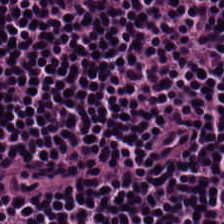H&E stain.
Predominantly lymphocytes.
